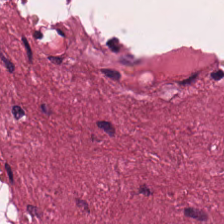H&E — {"tissue_type": "cancer-associated stroma"}
